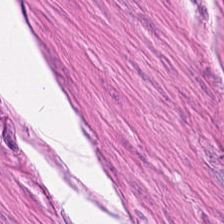Stain: hematoxylin and eosin.
Predominant tissue: smooth muscle.
